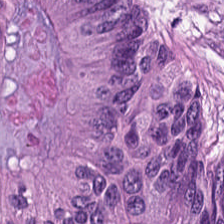224×224 pixel tile · H&E. This patch shows tumor epithelium.
